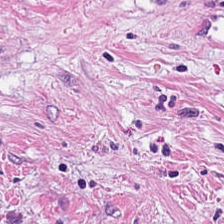Classification = desmoplastic stroma.
